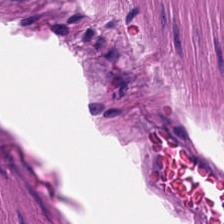H&E · 224×224 pixel tile · FFPE — The classification is smooth muscle.
